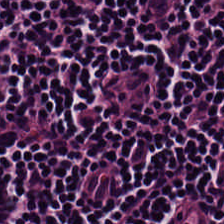224×224 px patch. H&E-stained tissue section. The predominant tissue is lymphocytes.
